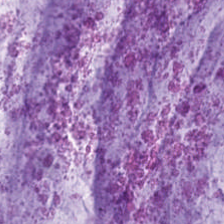Formalin-fixed paraffin-embedded section. Hematoxylin-and-eosin stained section. 0.5 µm/px. The tissue here is extracellular mucin.
